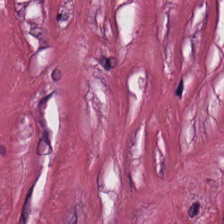Hematoxylin-and-eosin stained section. 224×224 px patch. This patch shows tumor stroma.
